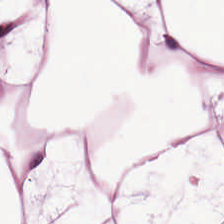Hematoxylin-and-eosin stained section — This patch shows fat tissue.
